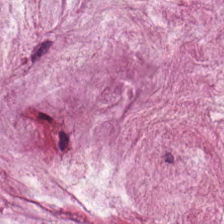Tissue = mucus.
